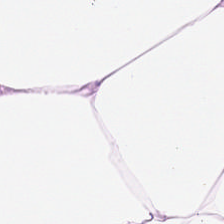H&E stain; whole-slide-image patch — This field is adipocytes.
